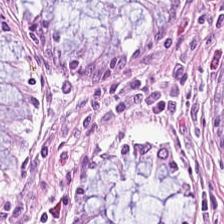The predominant tissue is normal colonic mucosa.
